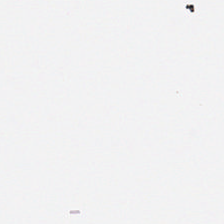H&E.
The content is no tissue.
